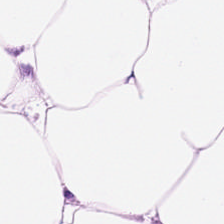Tissue type — adipose tissue.
